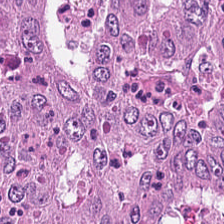H&E-stained tissue section; 224×224 px patch. Predominantly malignant epithelium.
